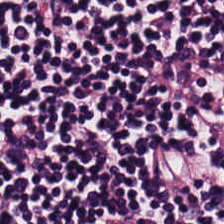H&E-stained tissue section.
Histology — lymphocyte aggregate.
